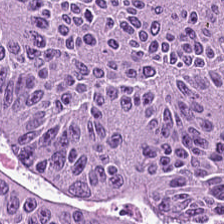Hematoxylin and eosin.
Tissue: colorectal adenocarcinoma.
